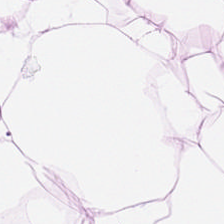H&E-stained tissue section · WSI patch · 224×224 pixel tile.
Adipose tissue.
